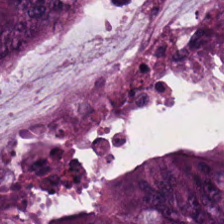20× equivalent magnification · H&E-stained tissue section · whole-slide-image patch — Q: What is shown here?
A: It is malignant epithelium.
